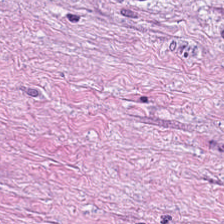H&E-stained tissue section. 224×224 px tile. 0.5 µm per pixel.
The predominant tissue is desmoplastic stroma.
